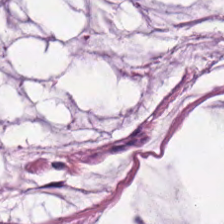Formalin-fixed paraffin-embedded section; hematoxylin and eosin. Q: What type of tissue is this?
A: The field shows extracellular mucin.
